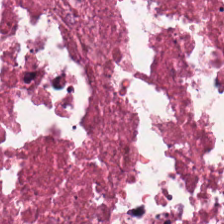H&E stain; FFPE tissue section. Finding — cellular debris.
